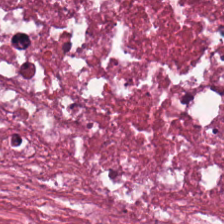Hematoxylin-and-eosin stained section · formalin-fixed paraffin-embedded section · 0.5 µm per pixel.
Q: What is shown in this field?
A: It is necrotic debris.
